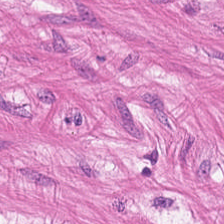FFPE tissue section. Brightfield. Hematoxylin and eosin. The predominant tissue is smooth muscle.
